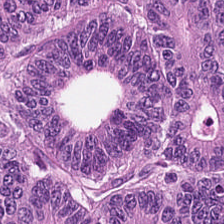Hematoxylin and eosin. 224×224 px patch. FFPE — Predominantly adenocarcinoma.
